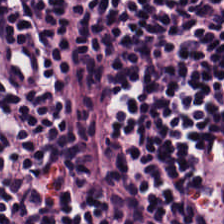H&E. 224×224 px patch. Impression → lymphocyte aggregate.
